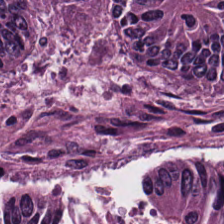Whole-slide-image patch. H&E-stained tissue section. 224×224 pixel tile. This patch shows colorectal adenocarcinoma epithelium.
